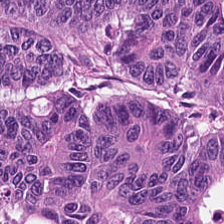H&E stain — The tissue type is adenocarcinoma.
